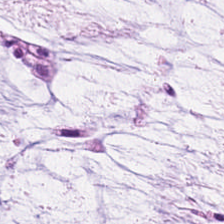Hematoxylin-and-eosin stained section.
Predominant tissue = mucus.
